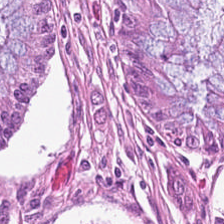H&E stain; FFPE; brightfield — {"tissue_type": "non-neoplastic colon mucosa"}
